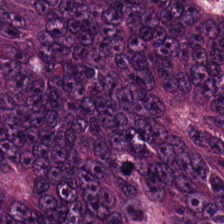FFPE · whole-slide-image patch · H&E. {"tissue_type": "malignant epithelium"}
